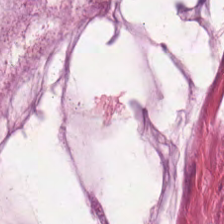FFPE tissue section · hematoxylin and eosin.
{"tissue_type": "mucin"}
